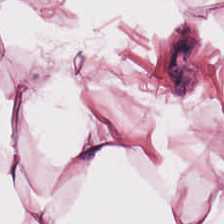H&E stain — Q: What is shown here?
A: The field shows adipose tissue.
